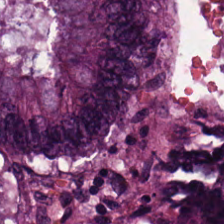FFPE. H&E-stained tissue section. Q: What tissue type is shown here?
A: It is tumor epithelium.
